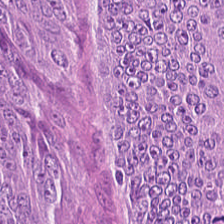Q: What type of tissue is this?
A: The field shows colorectal adenocarcinoma epithelium.
